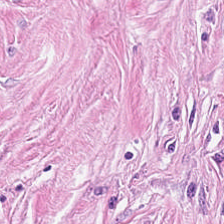Hematoxylin and eosin. Brightfield. The tissue class is desmoplastic stroma.
